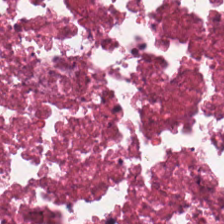Stain: hematoxylin-and-eosin stained section.
Tissue: necrotic debris.
